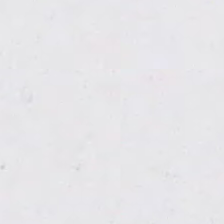Q: What is shown here?
A: The field shows background.
